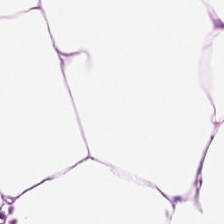H&E-stained tissue section · 224×224 px patch · brightfield.
Q: What does this patch show?
A: It is adipocytes.
